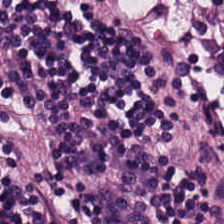H&E.
Q: What tissue type is shown here?
A: Lymphocyte aggregate.
